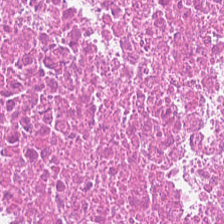Hematoxylin and eosin. Tissue type — debris.
